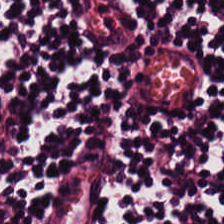Hematoxylin-and-eosin stained section. Finding — lymphoid infiltrate.
